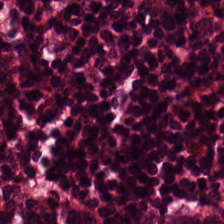H&E — The tissue here is normal colon mucosa.
